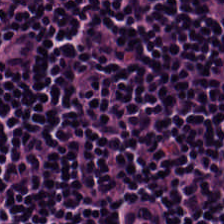H&E. Tissue: lymphocytes.
